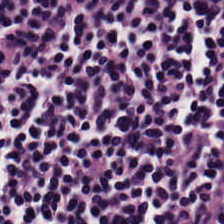Whole-slide-image patch; H&E-stained tissue section; formalin-fixed paraffin-embedded section. This field is lymphocyte aggregate.
